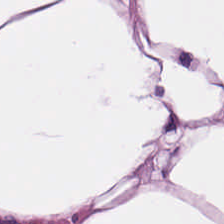Hematoxylin-and-eosin stained section — Finding → adipose.
